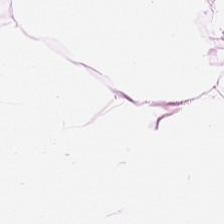Stain: hematoxylin-and-eosin stained section.
Acquisition: brightfield.
Tissue class: adipose tissue.
